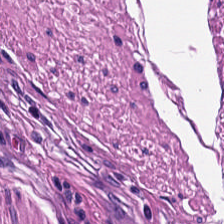H&E-stained tissue section.
Finding → muscularis.
